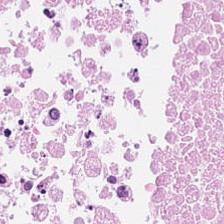H&E stain. FFPE tissue section. The classification is debris.
